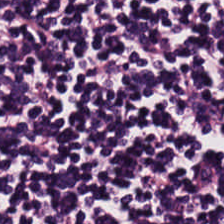224×224 pixel tile · WSI patch · H&E-stained tissue section.
The tissue here is lymphoid infiltrate.
